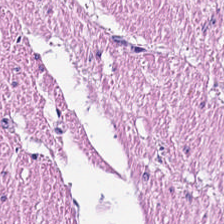H&E.
Predominant tissue: smooth muscle.
